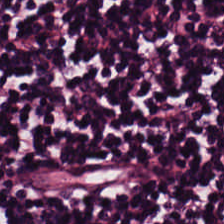H&E stain. Finding — lymphocytes.
